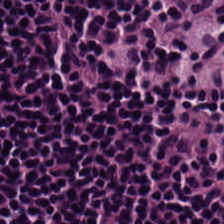Stain: hematoxylin-and-eosin stained section.
Classification: lymphocytic infiltrate.
